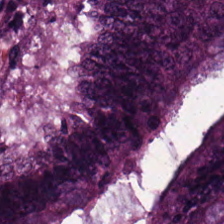WSI patch. H&E — Q: What is shown in this field?
A: It is adenocarcinoma.
